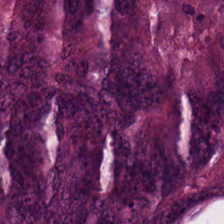H&E-stained tissue section showing colorectal adenocarcinoma epithelium.
